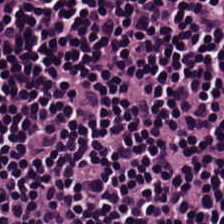Formalin-fixed paraffin-embedded section; H&E-stained tissue section; WSI patch.
Q: What is shown here?
A: This is lymphocytic infiltrate.
